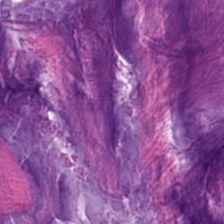Stain: H&E-stained tissue section.
Classification: mucus.
